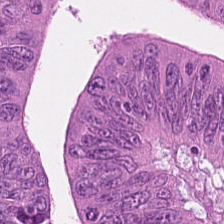This patch shows adenocarcinoma.
